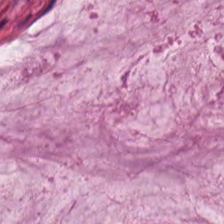H&E stain.
Classification — mucus.
